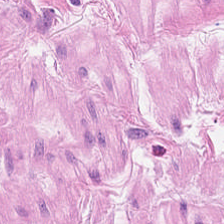H&E-stained tissue section; FFPE tissue section; brightfield microscopy. Muscularis.
